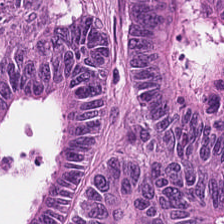Hematoxylin-and-eosin section: tumor epithelium.
